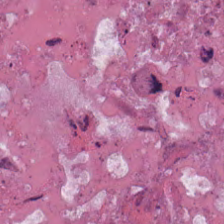WSI patch. Hematoxylin-and-eosin stained section — Classification = debris.
